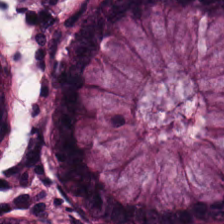Histology — normal colon mucosa.
